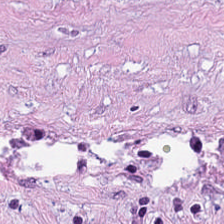Stain: H&E.
Tissue class: cancer-associated stroma.
